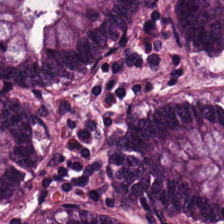224×224 px tile · H&E stain. This field is normal colon mucosa.
